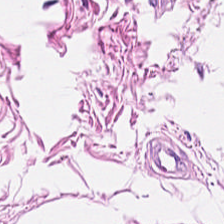H&E stain — Q: Identify the tissue.
A: Smooth-muscle tissue.
